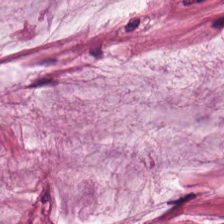H&E-stained tissue section — Predominant tissue — extracellular mucin.
